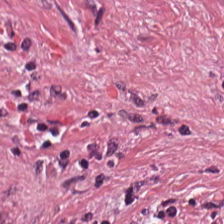Stain: hematoxylin and eosin.
Classification: tumor-associated stroma.
